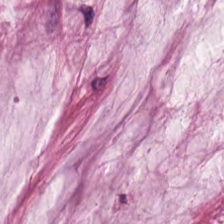FFPE; hematoxylin-and-eosin stained section; 224×224 px patch. Q: What is shown in this field?
A: It is mucus.
